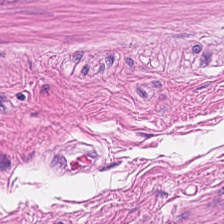H&E stain; WSI patch; 0.5 microns per pixel. Predominant tissue: smooth muscle.
